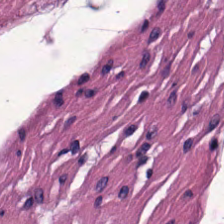WSI patch; 20× equivalent magnification; hematoxylin and eosin. The tissue here is smooth muscle.
